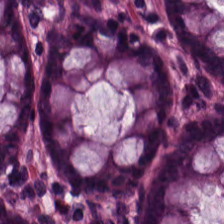Hematoxylin-and-eosin stained section.
This field is non-neoplastic colon mucosa.
